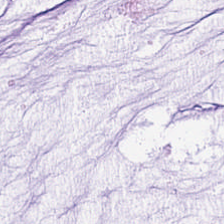Formalin-fixed paraffin-embedded section · hematoxylin-and-eosin stained section. Tissue class: mucin.
